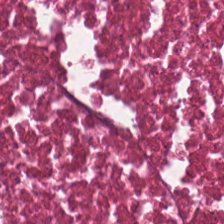Q: Identify the tissue.
A: The field shows necrotic debris.
